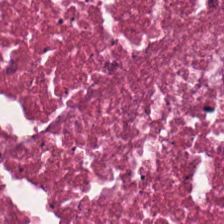H&E-stained tissue section.
This patch shows cellular debris.
